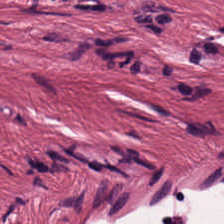Histology — desmoplastic stroma.
